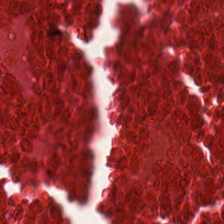Debris.
